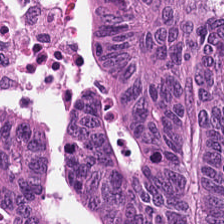H&E stain · 224×224 px tile. Showing tumor epithelium.
